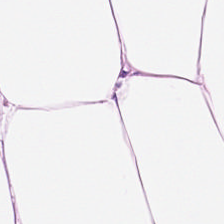Hematoxylin and eosin; 224×224 px tile — The tissue here is adipose.
